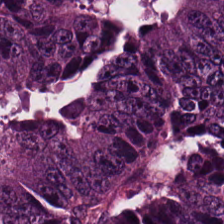H&E-stained tissue section.
This field is tumor epithelium.
